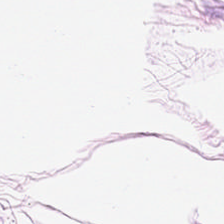H&E-stained tissue section; WSI patch; FFPE tissue section — Q: What type of tissue is this?
A: The field shows adipocytes.
